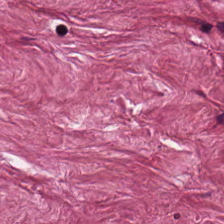Histology → tumor-associated stroma.
